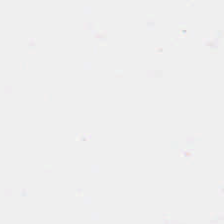No tissue present; background only.
